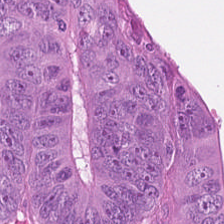0.5 µm per pixel; FFPE; hematoxylin and eosin.
Impression — colorectal adenocarcinoma.
